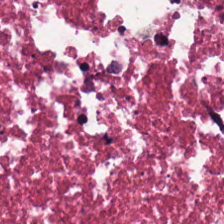FFPE · 20× equivalent magnification · H&E — {"tissue_type": "debris"}
